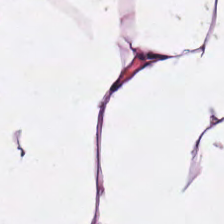Predominant tissue: adipose.
